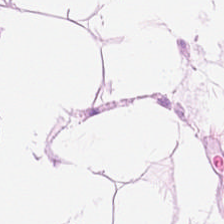Hematoxylin-and-eosin stained section; 0.5 microns per pixel; WSI patch. Adipose tissue.
